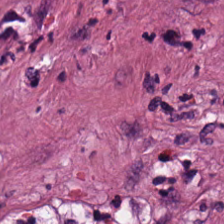Hematoxylin and eosin — This field is desmoplastic stroma.
